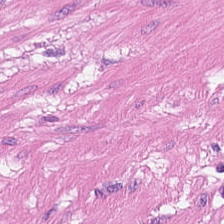Stain: H&E stain.
Acquisition: WSI patch.
Predominant tissue: muscularis.
